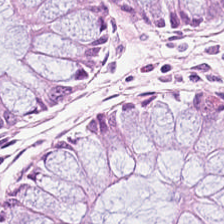H&E stain. Benign colonic mucosa.
